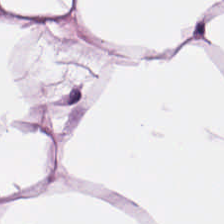Hematoxylin and eosin.
Tissue: fat tissue.
